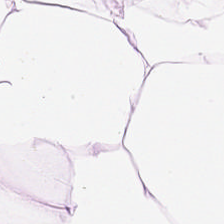H&E — fat tissue.
